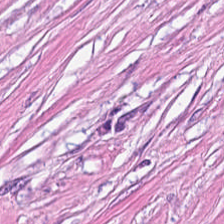Hematoxylin and eosin. Tissue = tumor-associated stroma.
